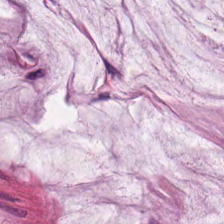Stain: H&E-stained tissue section.
Tissue: mucin.
